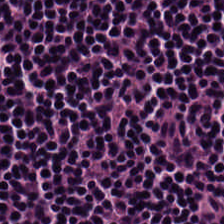Hematoxylin and eosin. {"tissue_type": "lymphoid infiltrate"}
